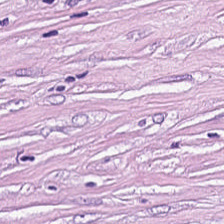Brightfield. H&E-stained tissue section — Predominant tissue — desmoplastic stroma.
